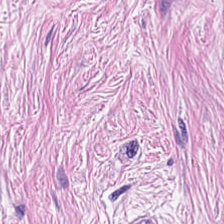Stain: hematoxylin-and-eosin stained section.
Tissue class: tumor-associated stroma.
